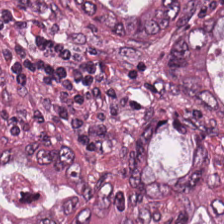The tissue class is colorectal adenocarcinoma.
